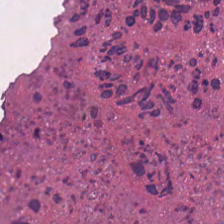Hematoxylin-and-eosin stained section. Formalin-fixed paraffin-embedded section. 224×224 pixel tile — Predominantly debris.
